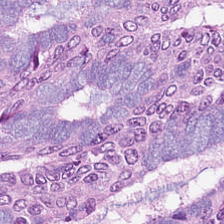H&E-stained tissue section.
Q: Classify this patch.
A: The field shows adenocarcinoma.
